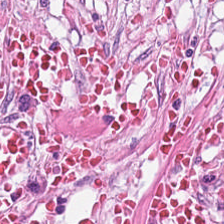H&E. The tissue here is tumor stroma.
